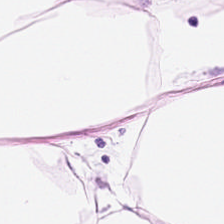H&E-stained tissue section. FFPE. Q: What type of tissue is this?
A: Adipose tissue.
